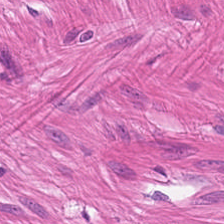Q: What tissue type is shown here?
A: The field shows muscularis.
